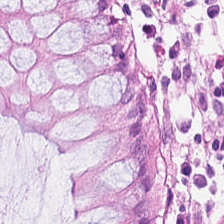0.5 µm per pixel; H&E.
Showing normal colonic mucosa.
